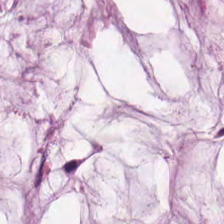H&E-stained tissue section; 20× equivalent magnification — Finding → mucin.
